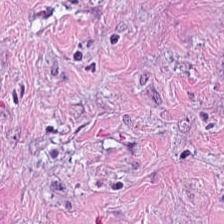Formalin-fixed paraffin-embedded section; brightfield; H&E stain.
Classification — tumor-associated stroma.
